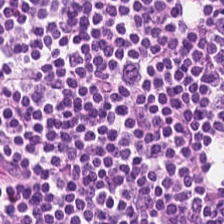H&E-stained tissue section — Classification — lymphocytic infiltrate.
